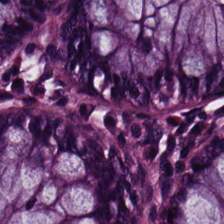H&E-stained tissue section; brightfield. Showing non-neoplastic colon mucosa.
